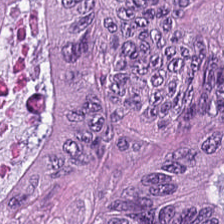Stain: H&E-stained tissue section.
Classification: malignant epithelium.
